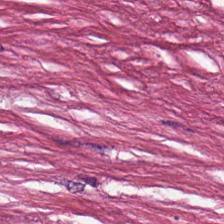Hematoxylin-and-eosin stained section; 224×224 px tile — {"tissue_type": "cellular debris"}
